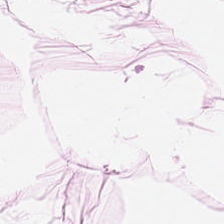H&E. FFPE.
Predominantly adipose.
